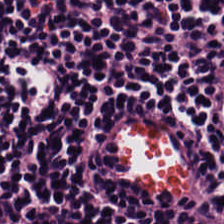Q: What does this patch show?
A: The field shows lymphocyte aggregate.
